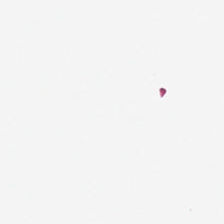H&E. Histology → empty background.
